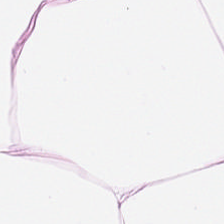Classification — adipocytes.
